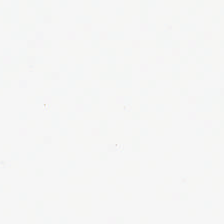No tissue.
